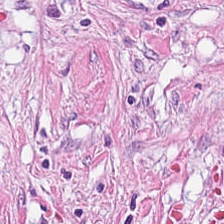H&E stain. FFPE tissue section.
Predominant tissue = tumor-associated stroma.
